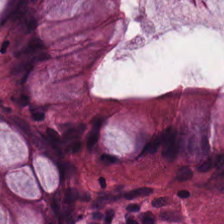H&E-stained tissue section.
Tissue — benign colonic mucosa.
